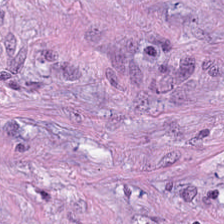Stain: H&E-stained tissue section.
Preparation: formalin-fixed paraffin-embedded section.
Classification: tumor stroma.
